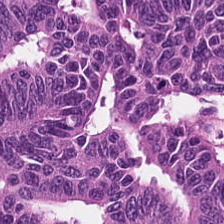Hematoxylin and eosin.
Predominant tissue — malignant epithelium.
